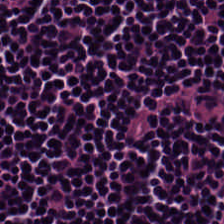The tissue is lymphocytic infiltrate.
